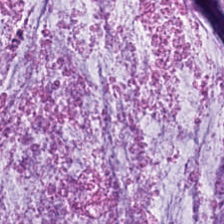H&E stain. Showing extracellular mucin.
